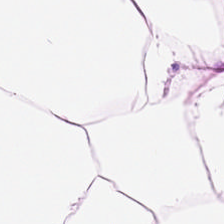H&E stain. 0.5 microns per pixel. WSI patch.
{"tissue_type": "adipose"}
